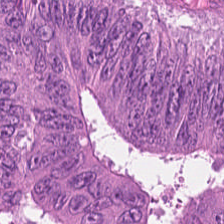H&E-stained tissue section showing colorectal adenocarcinoma.
